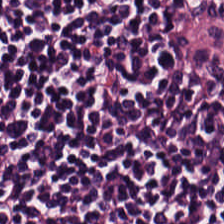{"tissue_type": "lymphocytes"}
